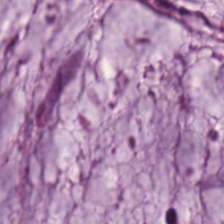H&E stain — Showing extracellular mucin.
